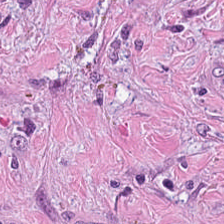Hematoxylin-and-eosin stained section — The tissue here is desmoplastic stroma.
